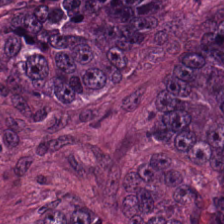Hematoxylin and eosin. Predominantly tumor epithelium.
